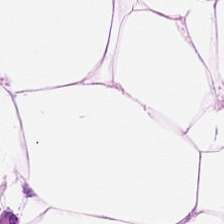Hematoxylin and eosin; FFPE.
Adipose tissue.
